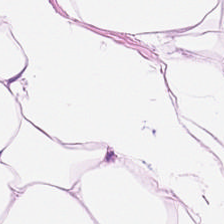H&E stain; 224×224 pixel tile. {"tissue_type": "adipocytes"}
